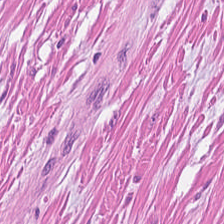Stain: hematoxylin and eosin.
Tile size: 224×224 pixel tile.
Tissue: smooth muscle.
